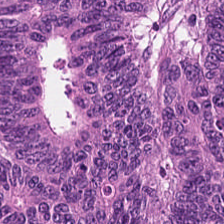Tissue — tumor epithelium.
